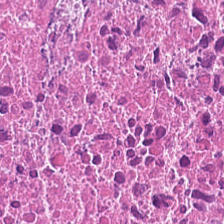H&E-stained tissue section; 224×224 pixel tile; 0.5 µm per pixel.
Necrotic debris.
